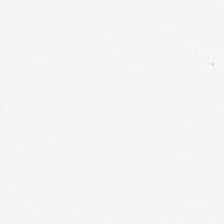WSI patch · formalin-fixed paraffin-embedded section · H&E stain.
Q: Classify this patch.
A: This is background (no tissue).
